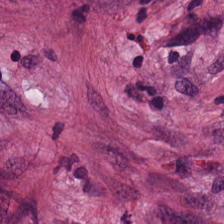H&E stain; whole-slide-image patch; 20× equivalent magnification.
Q: What type of tissue is this?
A: The field shows tumor-associated stroma.
